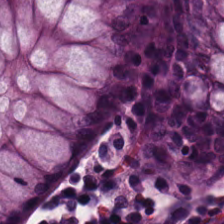Hematoxylin-and-eosin stained section; WSI patch — {"tissue_type": "benign colonic mucosa"}
